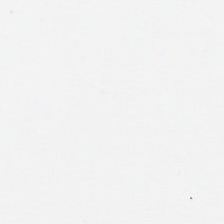H&E-stained tissue section; brightfield.
Background — no tissue in this field.
